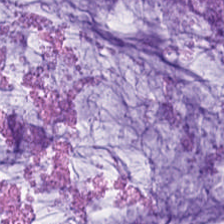H&E patch showing mucus.
